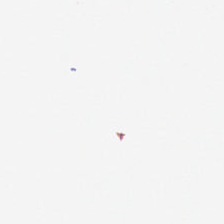H&E.
No tissue present; background only.
